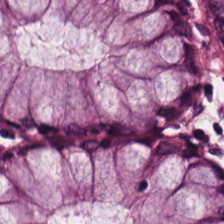Stain: H&E stain.
Tissue: normal colon mucosa.
